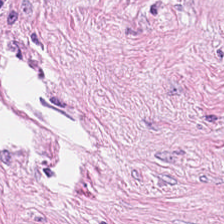Predominant tissue = cancer-associated stroma.
